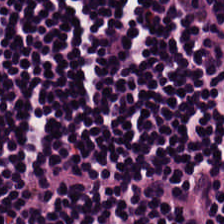Hematoxylin and eosin. Q: Identify the tissue.
A: The field shows lymphoid infiltrate.
